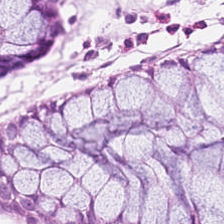Hematoxylin-and-eosin stained section — Predominantly normal colon mucosa.
